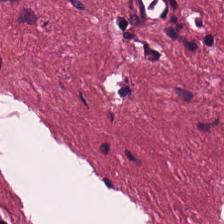Q: What is the predominant tissue type?
A: The field shows tumor stroma.
